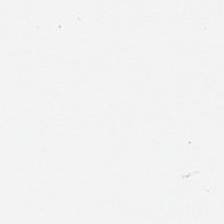Classification = no tissue.
